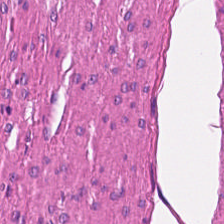H&E-stained tissue section.
The tissue here is smooth muscle.
